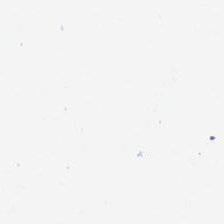Q: Classify this patch.
A: This is background (no tissue).
